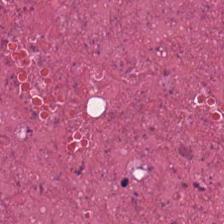Hematoxylin and eosin.
The tissue class is debris.
